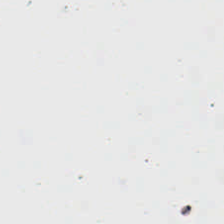H&E stain. 20× equivalent magnification. Q: What is shown in this field?
A: The field shows background.
